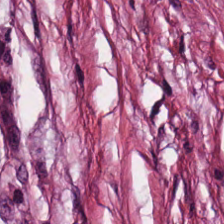Q: What does this patch show?
A: Desmoplastic stroma.
